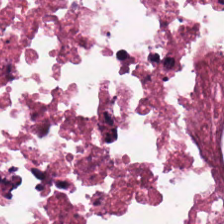H&E-stained tissue section; 0.5 µm per pixel.
Predominant tissue: cellular debris.
